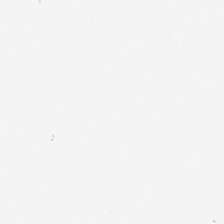H&E. 224×224 px tile. 0.5 microns per pixel.
Classification — background.
